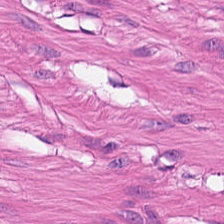Hematoxylin and eosin.
The predominant tissue is smooth-muscle tissue.
